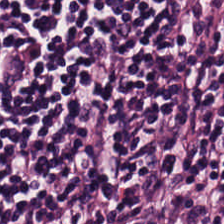224×224 px tile. Hematoxylin-and-eosin stained section. 0.5 µm/px.
Q: What tissue type is shown here?
A: Lymphoid infiltrate.
